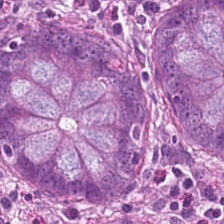Stain: H&E.
Preparation: formalin-fixed paraffin-embedded section.
Tile size: 224×224 px patch.
Predominant tissue: normal colonic mucosa.
